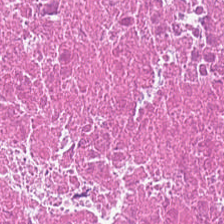0.5 microns per pixel. Hematoxylin and eosin — The predominant tissue is debris.
